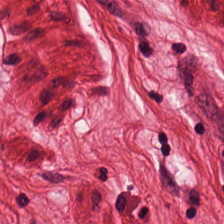H&E. Brightfield — Smooth muscle.
